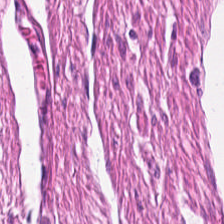Hematoxylin-and-eosin stained section; 224×224 px tile. Tissue = muscularis.
